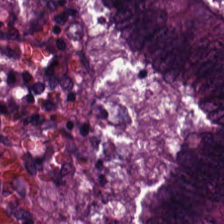H&E — Impression → tumor epithelium.
